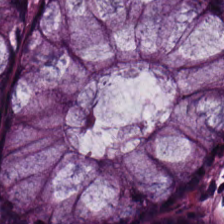Stain: H&E stain.
Tile size: 224×224 px tile.
Tissue type: normal colon mucosa.
